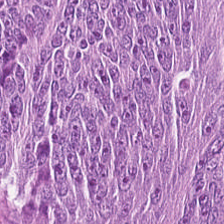The tissue here is colorectal adenocarcinoma.
